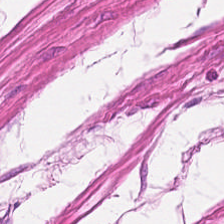H&E — muscularis.
